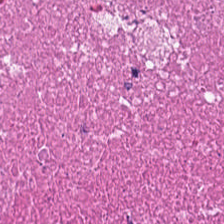Whole-slide-image patch · H&E — Showing necrotic debris.
